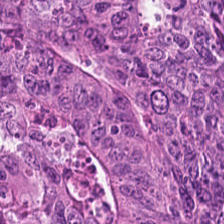0.5 µm/px; hematoxylin-and-eosin stained section.
{"tissue_type": "colorectal adenocarcinoma"}
